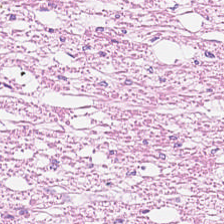Hematoxylin and eosin. This field is smooth muscle.
